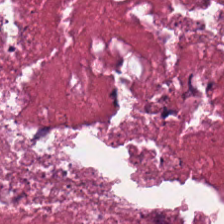H&E stain.
Impression → cellular debris.
